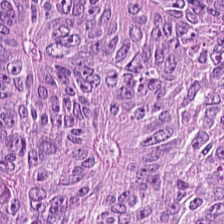Hematoxylin and eosin — Q: What is shown in this field?
A: It is colorectal adenocarcinoma epithelium.
